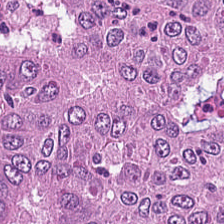H&E-stained tissue section.
Q: Identify the tissue.
A: Colorectal adenocarcinoma.
